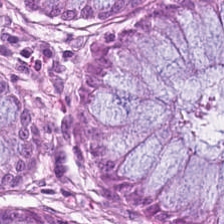H&E — normal colonic mucosa.
